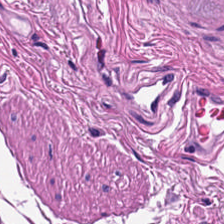Hematoxylin and eosin — The predominant tissue is smooth muscle.
